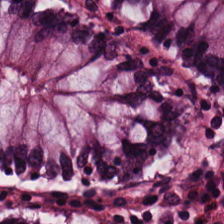Stain: H&E.
Resolution: 0.5 µm/px.
Preparation: formalin-fixed paraffin-embedded section.
Tissue class: normal colonic mucosa.
